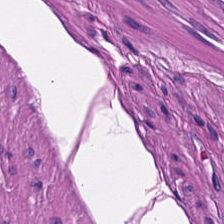This patch shows muscularis.
